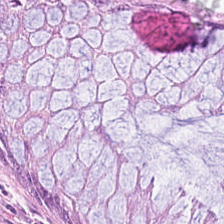This patch shows benign colonic mucosa.
